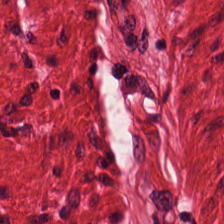H&E-stained tissue section showing muscularis.
